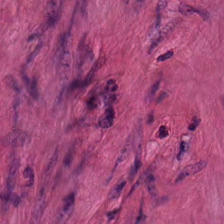Formalin-fixed paraffin-embedded section. 224×224 px tile. Hematoxylin and eosin.
This patch shows smooth-muscle tissue.
